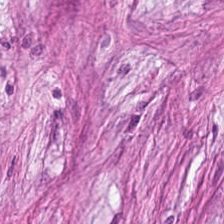224×224 px patch · H&E-stained tissue section — Tissue — desmoplastic stroma.
